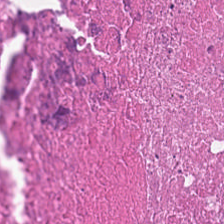224×224 px tile · H&E stain. Impression — debris.
